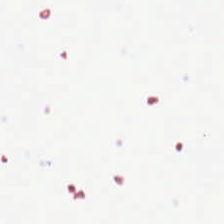No tissue present; background only.
